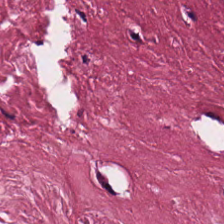The tissue class is tumor stroma.
